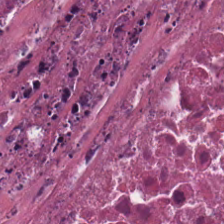Hematoxylin-and-eosin stained section. Tissue class — necrotic debris.
